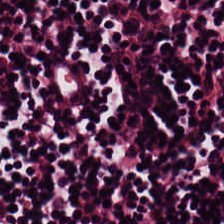H&E patch showing lymphocyte aggregate.
